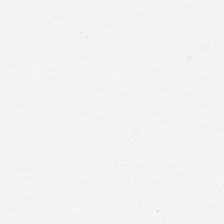H&E-stained tissue section.
Content: no tissue.
